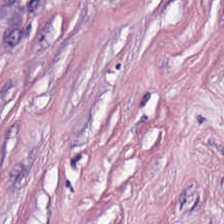H&E stain.
The tissue here is desmoplastic stroma.
